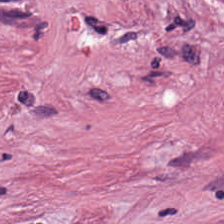Hematoxylin-and-eosin stained section — Tissue type — tumor stroma.
